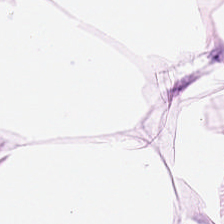H&E stain.
Impression — adipocytes.
